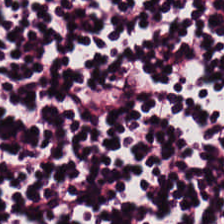Stain: H&E stain.
Tissue: lymphocyte aggregate.
